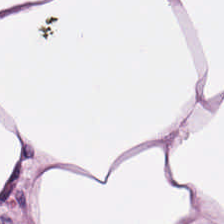Histology → adipocytes.
